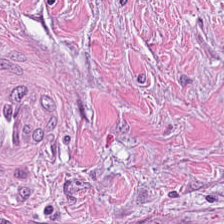This field is desmoplastic stroma.
